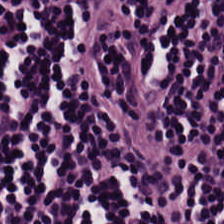224×224 px patch. H&E.
Predominantly lymphoid infiltrate.
